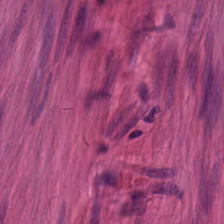Hematoxylin-and-eosin stained section. Q: What is shown in this field?
A: It is muscularis.
